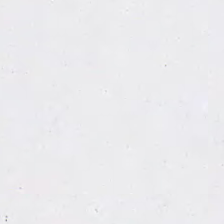Stain: hematoxylin-and-eosin stained section.
Content: background (no tissue).
